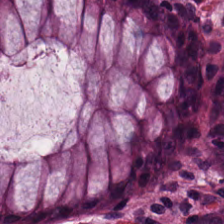Stain: H&E-stained tissue section.
Predominant tissue: normal colonic mucosa.
